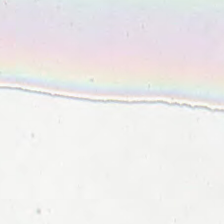H&E-stained tissue section — Impression → empty background.
